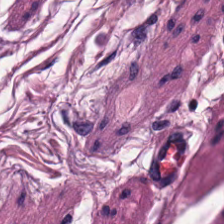Hematoxylin and eosin.
Tissue type — smooth muscle.
